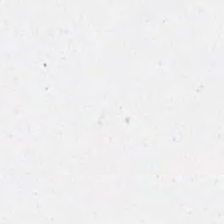Q: What is shown in this field?
A: This is background.
